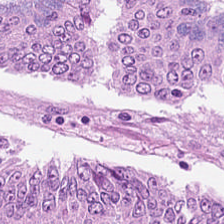H&E patch showing tumor epithelium.
